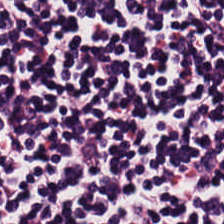Hematoxylin and eosin. Predominant tissue — lymphocytic infiltrate.
